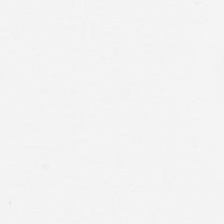224×224 px tile; H&E. The field content is background.
